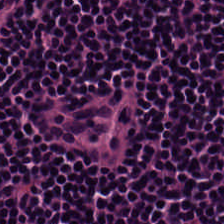Stain: hematoxylin-and-eosin stained section.
Preparation: FFPE tissue section.
Acquisition: brightfield microscopy.
Predominant tissue: lymphocytic infiltrate.
